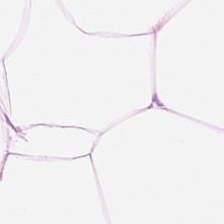H&E stain — Tissue — adipose.
